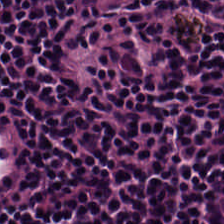H&E — Q: What tissue type is shown here?
A: It is lymphocyte aggregate.
